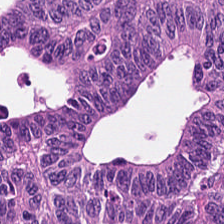The tissue here is tumor epithelium.
